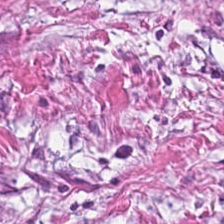0.5 µm/px. H&E-stained tissue section. Q: What type of tissue is this?
A: It is desmoplastic stroma.
